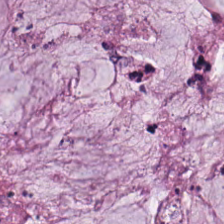Hematoxylin and eosin — Extracellular mucin.
